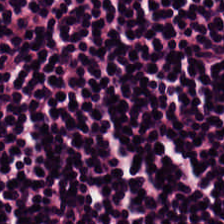H&E stain.
Showing lymphocyte aggregate.
